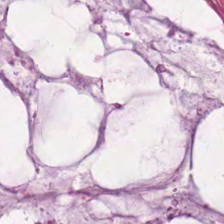Hematoxylin and eosin — Q: What is shown here?
A: It is extracellular mucin.
